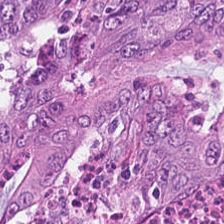H&E. The predominant tissue is tumor epithelium.
